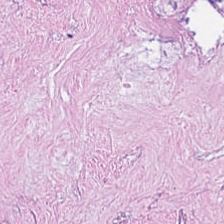Hematoxylin-and-eosin stained section — The tissue here is cellular debris.
